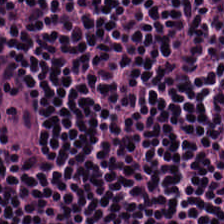0.5 µm/px; FFPE; hematoxylin and eosin.
This field is lymphocytic infiltrate.
